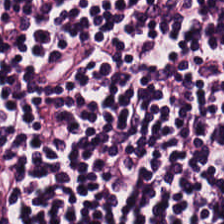224×224 px patch. H&E stain.
Finding → lymphocyte aggregate.
